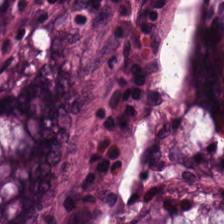Whole-slide-image patch. 224×224 px tile. Hematoxylin-and-eosin stained section — Q: Identify the tissue.
A: The field shows normal colon mucosa.
